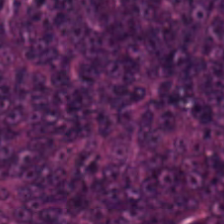H&E — Q: Classify this patch.
A: Colorectal adenocarcinoma.
